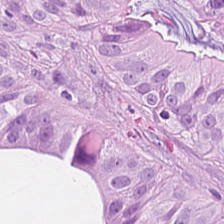0.5 µm/px; hematoxylin-and-eosin stained section; brightfield microscopy — Q: What does this patch show?
A: This is colorectal adenocarcinoma epithelium.
